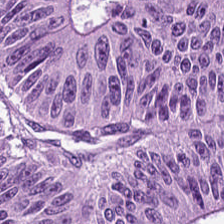Hematoxylin and eosin — Predominantly colorectal adenocarcinoma.
